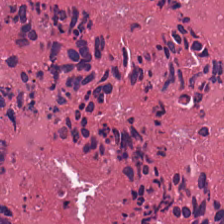H&E stain. FFPE. 0.5 µm per pixel. Debris.
